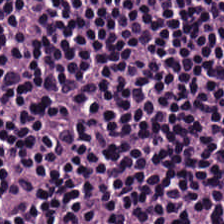Brightfield; hematoxylin-and-eosin stained section.
Q: What does this patch show?
A: The field shows lymphoid infiltrate.
